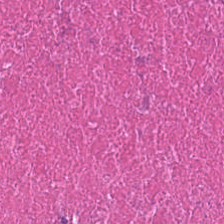H&E-stained tissue section · 20× equivalent magnification — Q: What type of tissue is this?
A: Necrotic debris.
